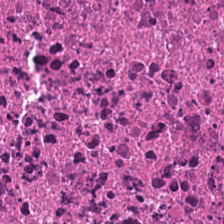Stain: hematoxylin-and-eosin stained section.
Preparation: FFPE.
Classification: cellular debris.
